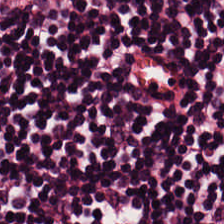H&E stain. Formalin-fixed paraffin-embedded section. Predominantly lymphoid infiltrate.
